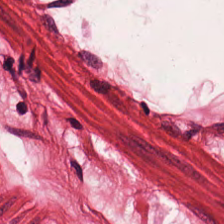224×224 pixel tile · hematoxylin-and-eosin stained section — This field is smooth muscle.
